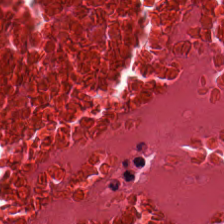H&E-stained tissue section · brightfield · 224×224 px tile — Q: What is shown here?
A: It is necrotic debris.
